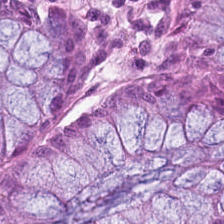H&E-stained tissue section. FFPE — Predominant tissue = normal colonic mucosa.
